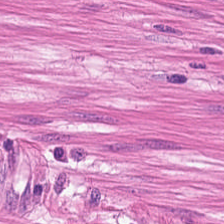224×224 pixel tile; hematoxylin-and-eosin stained section — This field is muscularis.
